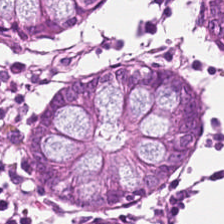224×224 px tile; H&E stain; brightfield microscopy — The tissue here is normal colon mucosa.
